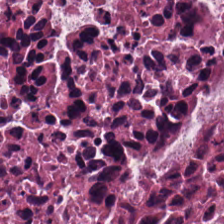Hematoxylin-and-eosin stained section · WSI patch · 224×224 pixel tile — Tissue type: cellular debris.
